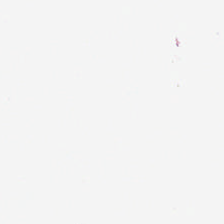20× equivalent magnification · hematoxylin-and-eosin stained section · 224×224 pixel tile — This patch shows background.
